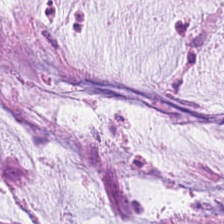20× equivalent magnification. H&E stain. Q: Classify this patch.
A: It is mucin.
